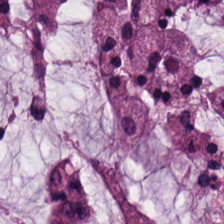224×224 pixel tile. Hematoxylin and eosin. Brightfield microscopy.
This field is mucin.
